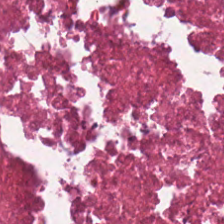H&E stain. Classification = debris.
